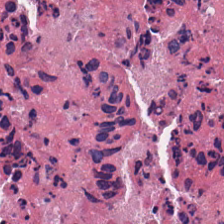This field is cellular debris.
